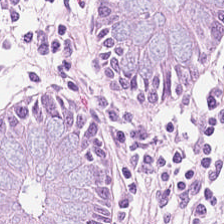Stain: H&E stain.
Predominant tissue: non-neoplastic colon mucosa.
